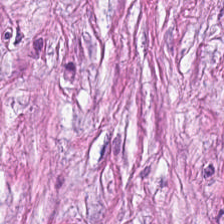Stain: hematoxylin-and-eosin stained section.
Preparation: formalin-fixed paraffin-embedded section.
Tile size: 224×224 px patch.
Tissue type: cancer-associated stroma.
